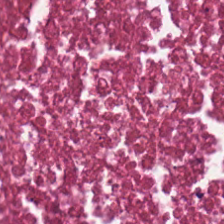Stain: H&E-stained tissue section.
Classification: necrotic debris.
